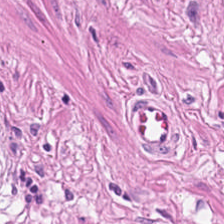The classification is muscularis.
